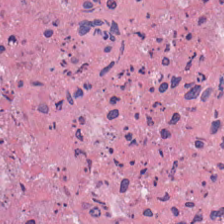Tissue: debris.
